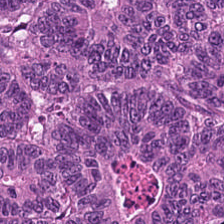Hematoxylin-and-eosin stained section.
Tissue class: tumor epithelium.
